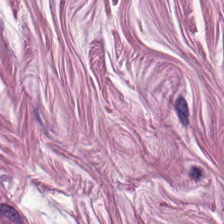H&E · whole-slide-image patch. Q: What is shown in this field?
A: It is smooth muscle.
